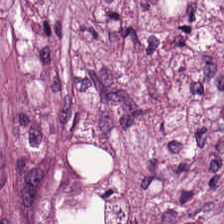Brightfield microscopy; hematoxylin and eosin; 0.5 µm/px. This field is tumor stroma.
